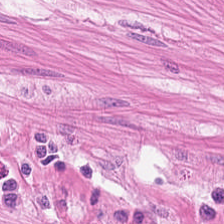The tissue here is smooth muscle.
